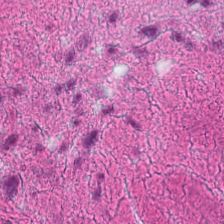Stain: hematoxylin-and-eosin stained section.
Tissue type: debris.
